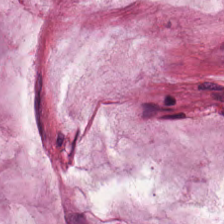Hematoxylin-and-eosin stained section — Predominantly mucin.
